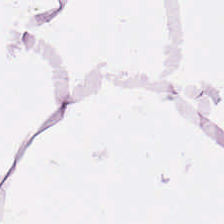Hematoxylin and eosin.
This patch shows fat tissue.
